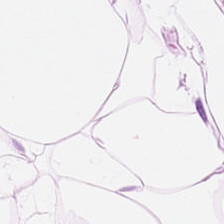Stain: hematoxylin and eosin.
Preparation: FFPE.
Predominant tissue: adipocytes.
